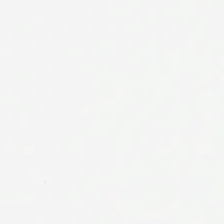Brightfield microscopy; H&E.
This field is background (no tissue).
